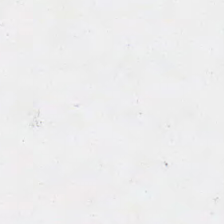H&E — Finding — empty background.
